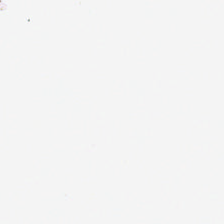Impression → background (no tissue).
